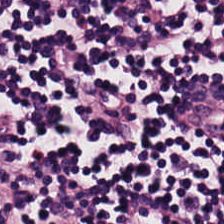Predominant tissue — lymphoid infiltrate.
